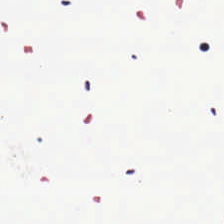FFPE tissue section; hematoxylin-and-eosin stained section.
{"content": "background (no tissue)"}
